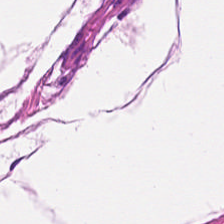Predominant tissue: smooth-muscle tissue.
